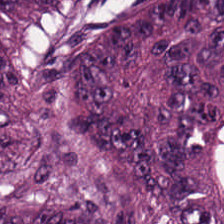{"tissue_type": "malignant epithelium"}
